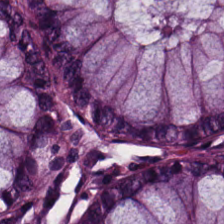H&E stain. {"tissue_type": "normal colon mucosa"}
